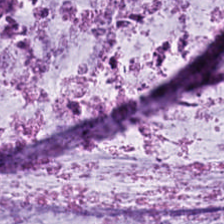H&E-stained tissue section; 0.5 µm per pixel — {"tissue_type": "mucin"}
